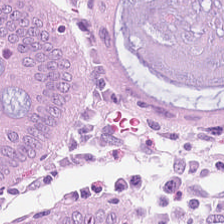Hematoxylin-and-eosin section: normal colon mucosa.
